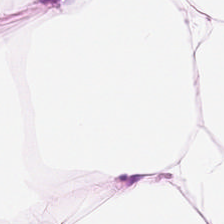{"tissue_type": "adipose"}
